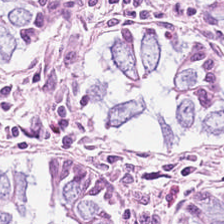Stain: H&E stain.
Tissue type: normal colonic mucosa.
